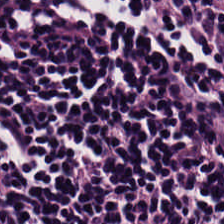The tissue is lymphocytic infiltrate.
